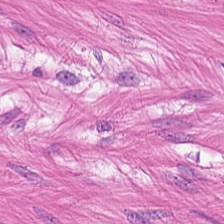Hematoxylin and eosin; FFPE tissue section. Q: What does this patch show?
A: This is smooth-muscle tissue.
